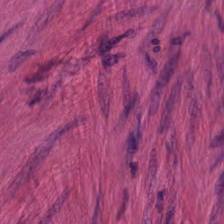H&E stain. 20× equivalent magnification. FFPE tissue section.
Tissue type — smooth-muscle tissue.
